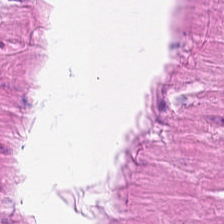Q: What is shown here?
A: It is smooth-muscle tissue.
